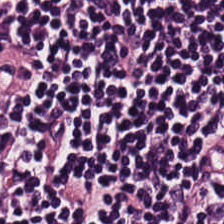224×224 px patch. H&E.
The predominant tissue is lymphoid infiltrate.
